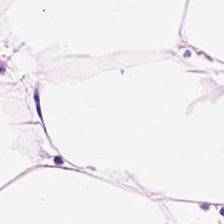Hematoxylin and eosin — Impression → adipose.
